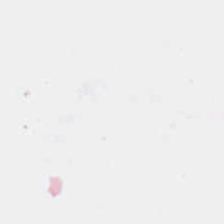Hematoxylin and eosin. FFPE.
Classification = background (no tissue).
